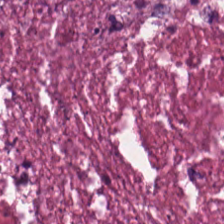Stain: H&E.
Preparation: formalin-fixed paraffin-embedded section.
Tissue class: debris.
